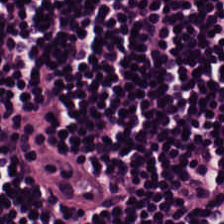H&E — The tissue class is lymphoid infiltrate.
